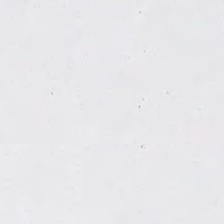Background — no tissue in this field.
